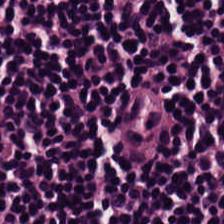Hematoxylin and eosin — {"tissue_type": "lymphocytes"}
